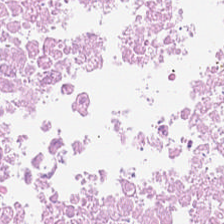Finding → debris.
